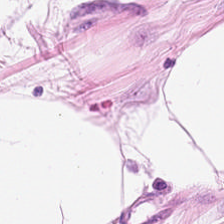Q: What type of tissue is this?
A: It is adipose tissue.
